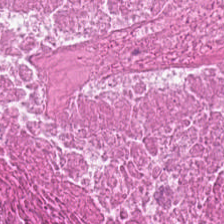Finding — necrotic debris.
